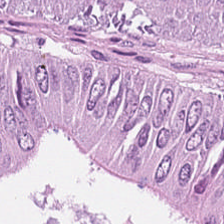Hematoxylin-and-eosin stained section. Tissue class: colorectal adenocarcinoma.
